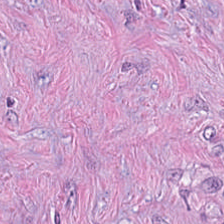Predominant tissue = tumor-associated stroma.
